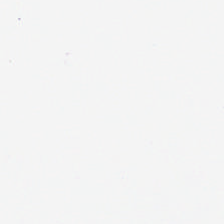224×224 px tile · hematoxylin and eosin · 0.5 µm per pixel. The classification is no tissue.
